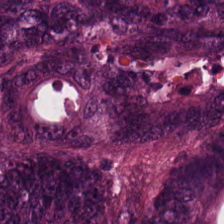Stain: H&E-stained tissue section.
Tissue type: tumor epithelium.
